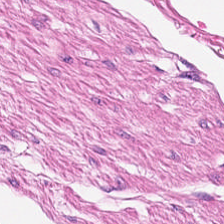WSI patch · H&E stain · 224×224 pixel tile — This patch shows smooth-muscle tissue.
